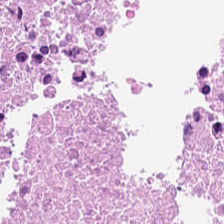Whole-slide-image patch. 224×224 pixel tile. H&E. Predominant tissue — cellular debris.
